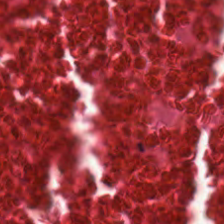H&E-stained tissue section. 0.5 microns per pixel. 224×224 px patch — Impression → debris.
